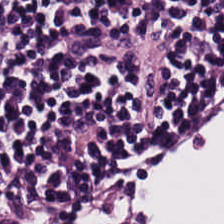Hematoxylin-and-eosin stained section. Q: What does this patch show?
A: The field shows lymphocytic infiltrate.
